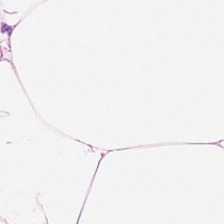0.5 µm per pixel; brightfield microscopy; hematoxylin-and-eosin stained section — Q: What is the predominant tissue type?
A: The field shows adipocytes.
